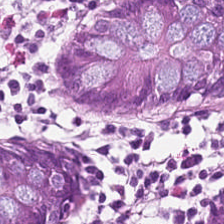H&E-stained tissue section.
The tissue here is benign colonic mucosa.
